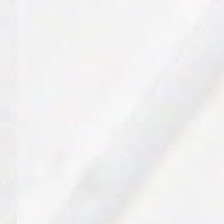H&E stain.
This field is background (no tissue).
